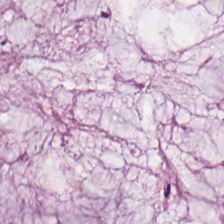Hematoxylin and eosin · 20× equivalent magnification. {"tissue_type": "extracellular mucin"}
